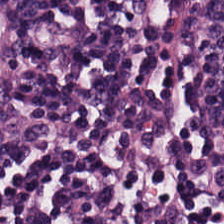H&E-stained tissue section · FFPE — Q: What is the predominant tissue type?
A: It is lymphocyte aggregate.
